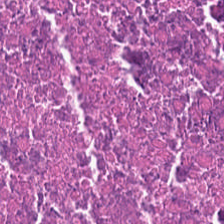Predominant tissue = cellular debris.
